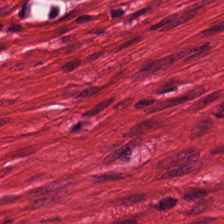Q: What is the predominant tissue type?
A: The field shows smooth-muscle tissue.
